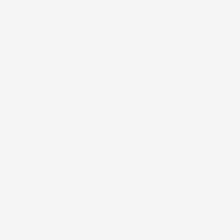H&E stain; 0.5 µm per pixel; brightfield microscopy — Q: Classify this patch.
A: This is background (no tissue).
